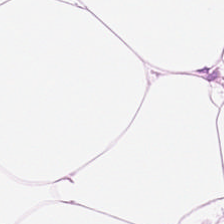Hematoxylin-and-eosin stained section.
Q: Classify this patch.
A: This is adipocytes.
